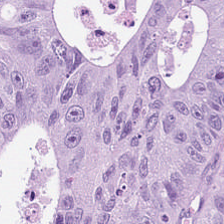Q: What type of tissue is this?
A: The field shows colorectal adenocarcinoma epithelium.
